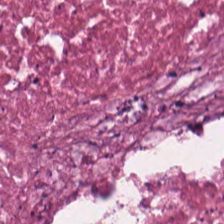224×224 px tile. FFPE tissue section. Hematoxylin-and-eosin stained section.
Tissue = cellular debris.
